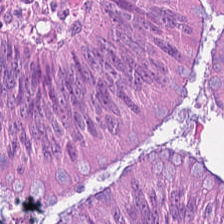Hematoxylin-and-eosin stained section — Showing colorectal adenocarcinoma.
